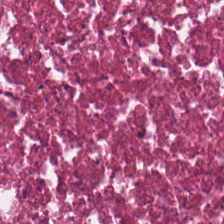The classification is necrotic debris.
